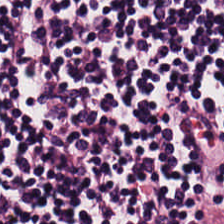0.5 microns per pixel; hematoxylin-and-eosin stained section — Showing lymphocytes.
